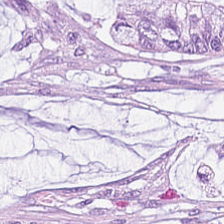H&E; formalin-fixed paraffin-embedded section — This patch shows mucus.
